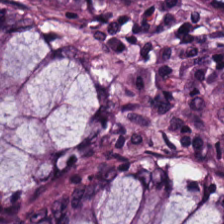H&E-stained tissue section; 224×224 pixel tile — Q: What is shown here?
A: This is benign colonic mucosa.
